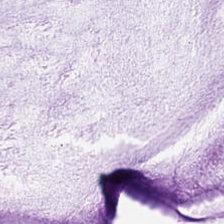H&E-stained tissue section — Impression — mucin.
